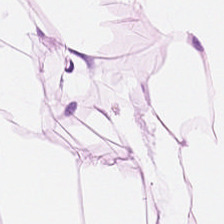Finding → adipocytes.
